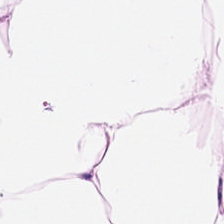{"tissue_type": "adipocytes"}
